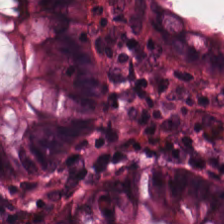H&E — non-neoplastic colon mucosa.
